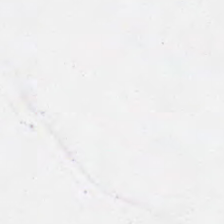Background (no tissue).
